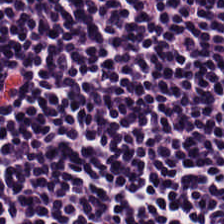H&E-stained section; the field shows lymphocyte aggregate.
